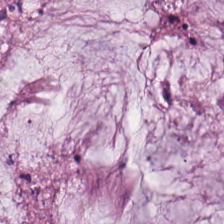Hematoxylin and eosin. This field is mucin.
